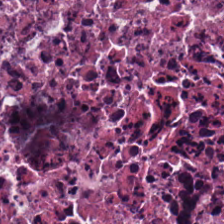Hematoxylin-and-eosin stained section.
Q: What tissue type is shown here?
A: This is cellular debris.
